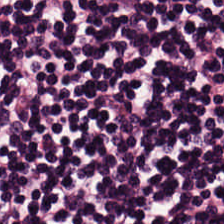H&E-stained tissue section — Q: What type of tissue is this?
A: It is lymphocytic infiltrate.
